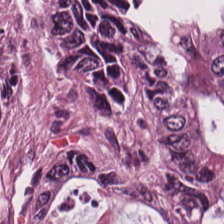Showing colorectal adenocarcinoma epithelium.
